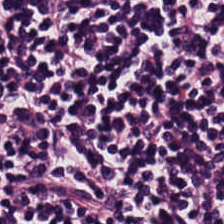H&E stain; 224×224 px patch; brightfield microscopy. The tissue class is lymphocytic infiltrate.
